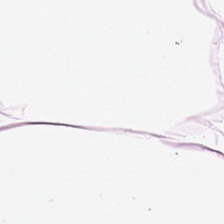Q: Identify the tissue.
A: The field shows adipose tissue.
